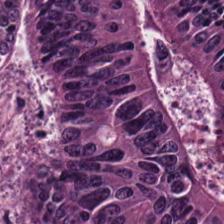224×224 px patch; hematoxylin and eosin; formalin-fixed paraffin-embedded section — Tissue type = tumor epithelium.
